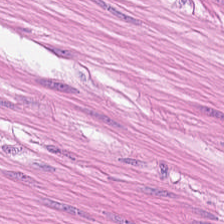Brightfield · H&E. This patch shows smooth-muscle tissue.
